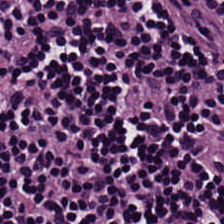224×224 pixel tile; formalin-fixed paraffin-embedded section; H&E-stained tissue section. Histology — lymphocytes.
